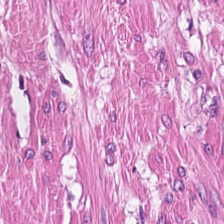Q: What is shown here?
A: It is smooth muscle.
